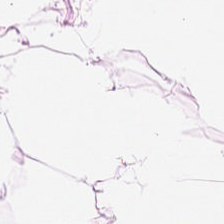Tissue class: adipocytes.
